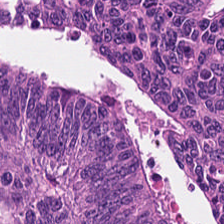0.5 µm per pixel · hematoxylin and eosin · FFPE. Impression → adenocarcinoma.
